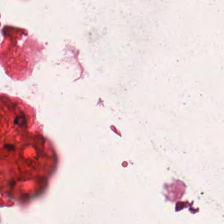H&E stain — Tissue type = smooth muscle.
